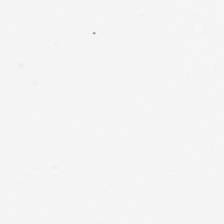Hematoxylin-and-eosin stained section.
The field content is no tissue.
